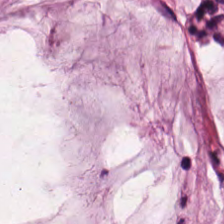H&E stain — The tissue here is mucin.
